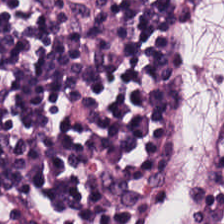H&E; 224×224 px patch; brightfield.
Q: What tissue type is shown here?
A: Lymphocytes.
